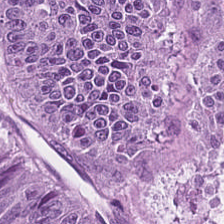H&E-stained tissue section. {"tissue_type": "malignant epithelium"}
